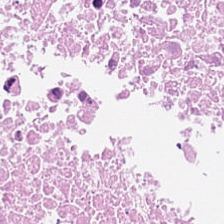H&E stain · 0.5 µm per pixel.
The predominant tissue is cellular debris.
